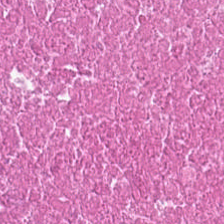H&E — Tissue class = debris.
